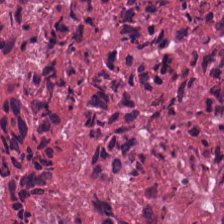FFPE. 0.5 microns per pixel. Hematoxylin-and-eosin stained section — Q: What is shown here?
A: The field shows cellular debris.
